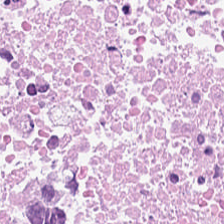Hematoxylin and eosin · 224×224 px patch — This patch shows necrotic debris.
